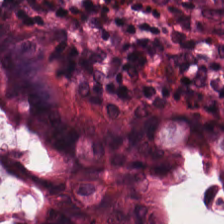Q: What is shown in this field?
A: It is normal colon mucosa.
